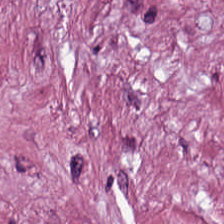Hematoxylin-and-eosin stained section.
Q: What is shown in this field?
A: Tumor stroma.
